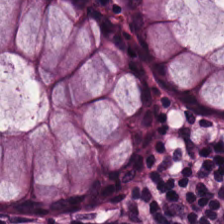H&E.
Benign colonic mucosa.
